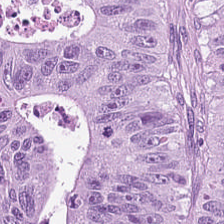Tissue class: tumor epithelium.
